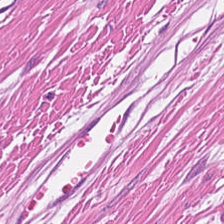H&E stain. FFPE tissue section. 0.5 microns per pixel. Tissue class — muscularis.
